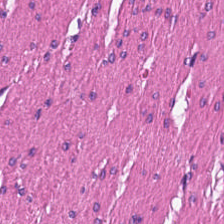H&E stain — Tissue class — smooth muscle.
